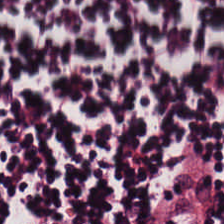FFPE tissue section · H&E stain — Tissue: lymphocytes.
